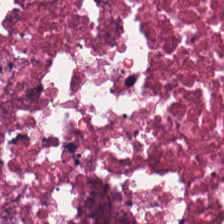Stain: hematoxylin-and-eosin stained section.
Predominant tissue: cellular debris.
